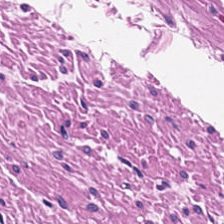H&E-stained section; the field shows smooth-muscle tissue.
